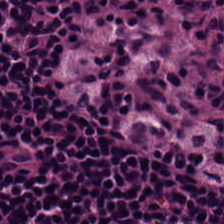H&E stain — Tissue = lymphocytes.
